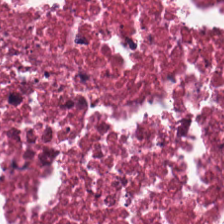Hematoxylin and eosin; WSI patch — The tissue type is necrotic debris.
